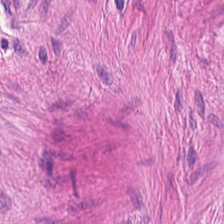Hematoxylin-and-eosin stained section.
Showing smooth-muscle tissue.
